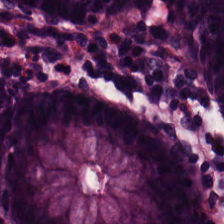20× equivalent magnification; H&E-stained tissue section. Tissue = normal colonic mucosa.
